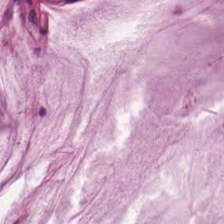{"tissue_type": "mucus"}
